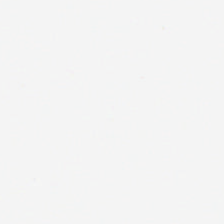H&E; WSI patch; 0.5 µm/px.
The content is no tissue.
